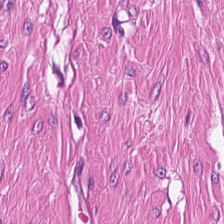H&E stain. The predominant tissue is muscularis.
